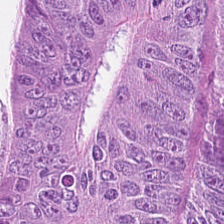H&E stain. Impression — malignant epithelium.
